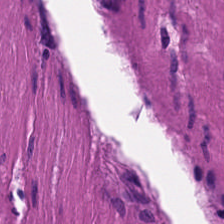Impression — smooth-muscle tissue.
